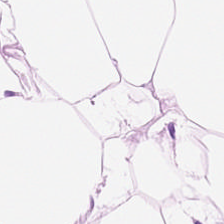The predominant tissue is adipocytes.
